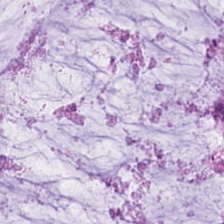WSI patch; 0.5 microns per pixel; H&E-stained tissue section — Q: Classify this patch.
A: Mucus.
